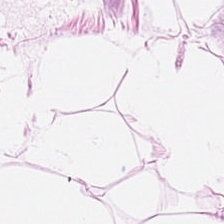Hematoxylin-and-eosin stained section · FFPE. Classification — adipose tissue.
